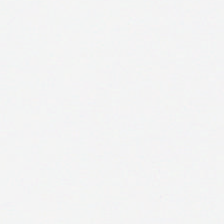H&E-stained tissue section. 20× equivalent magnification. Q: What does this patch show?
A: This is no tissue.
